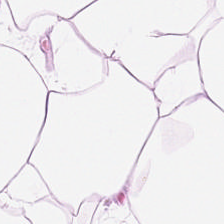H&E · whole-slide-image patch. The classification is fat tissue.
